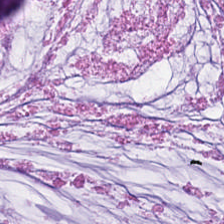Whole-slide-image patch · H&E-stained tissue section.
This field is mucus.
